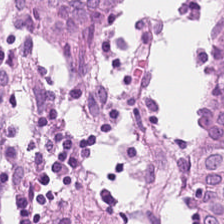Q: What type of tissue is this?
A: Normal colonic mucosa.
